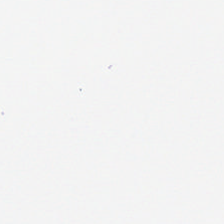FFPE tissue section · hematoxylin-and-eosin stained section.
Impression → background.
